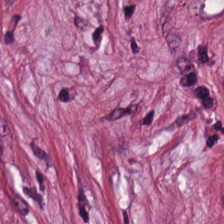H&E stain; 224×224 px tile.
Tissue class = tumor-associated stroma.
